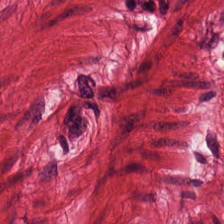H&E stain · brightfield — Predominant tissue: smooth muscle.
